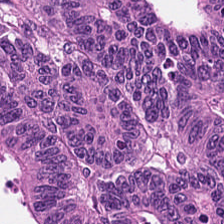The predominant tissue is tumor epithelium.
